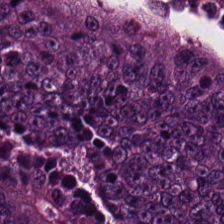H&E-stained tissue section.
Q: Classify this patch.
A: It is malignant epithelium.
